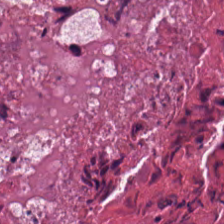224×224 pixel tile. H&E-stained tissue section. Brightfield microscopy.
Tissue — cellular debris.
